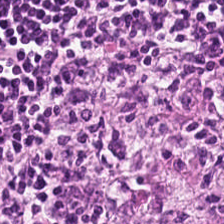H&E-stained tissue section; FFPE. Tissue — lymphocytic infiltrate.
